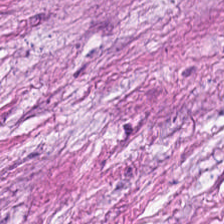H&E-stained tissue section.
Histology → cancer-associated stroma.
